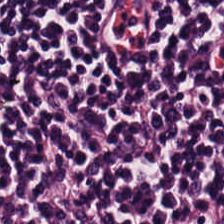H&E-stained tissue section — This field is lymphoid infiltrate.
